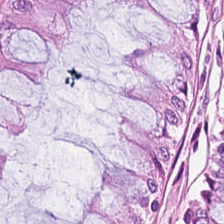H&E stain · WSI patch.
This patch shows normal colonic mucosa.
